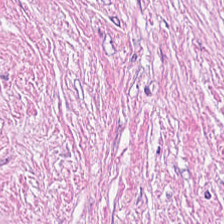Hematoxylin and eosin.
Predominantly tumor stroma.
